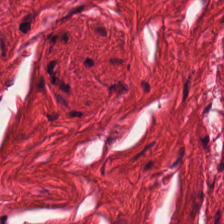H&E-stained tissue section.
{"tissue_type": "smooth-muscle tissue"}
